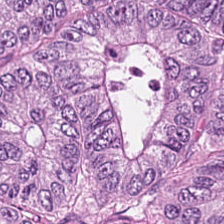Hematoxylin and eosin.
The tissue type is tumor epithelium.
